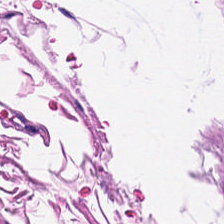H&E stain — Q: What is shown here?
A: Smooth muscle.
